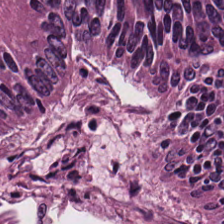Hematoxylin and eosin.
The predominant tissue is colorectal adenocarcinoma.
